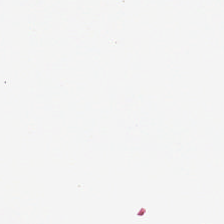H&E-stained tissue section · FFPE tissue section · 224×224 pixel tile — Q: What is shown here?
A: It is background (no tissue).
